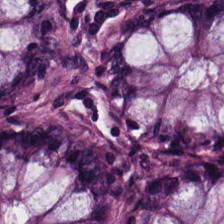H&E — The tissue here is normal colonic mucosa.
